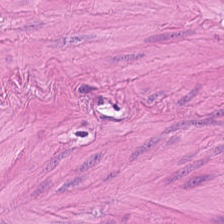20× equivalent magnification. H&E stain.
Q: What tissue is shown?
A: It is smooth muscle.
